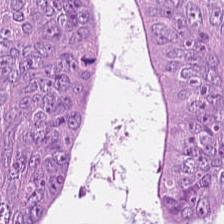Stain: H&E-stained tissue section.
Predominant tissue: tumor epithelium.
